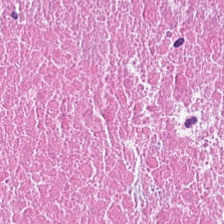Stain: H&E-stained tissue section.
Acquisition: WSI patch.
Tissue type: cellular debris.
